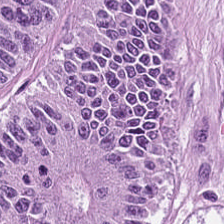{"tissue_type": "malignant epithelium"}
